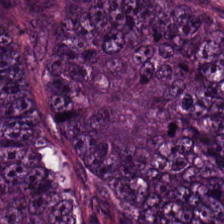0.5 µm/px; 224×224 px patch; H&E-stained tissue section. The predominant tissue is tumor epithelium.
